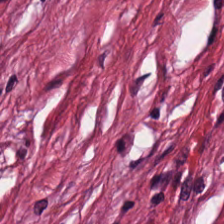H&E stain — Tissue class = cancer-associated stroma.
